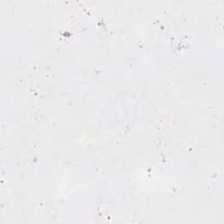Field content — empty background.
